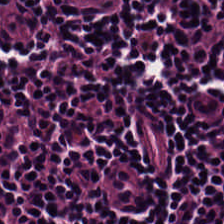H&E stain.
Tissue type: lymphocytic infiltrate.
